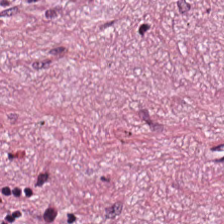0.5 microns per pixel · hematoxylin-and-eosin stained section.
Predominantly tumor stroma.
